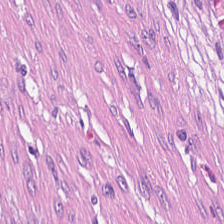Hematoxylin-and-eosin stained section. 224×224 pixel tile.
The predominant tissue is cancer-associated stroma.
